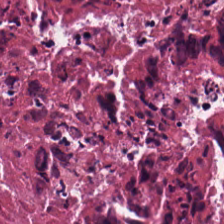Brightfield · H&E-stained tissue section — Q: What tissue type is shown here?
A: The field shows debris.
